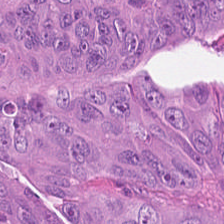0.5 µm/px. Formalin-fixed paraffin-embedded section. Hematoxylin and eosin. Predominantly colorectal adenocarcinoma.
